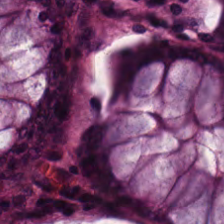H&E — Showing benign colonic mucosa.
